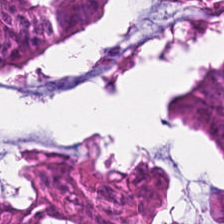H&E.
The predominant tissue is tumor epithelium.
